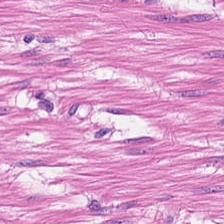H&E stain.
Showing smooth muscle.
